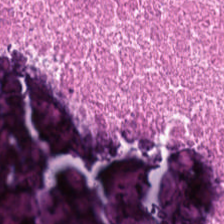H&E-stained tissue section. 224×224 px tile. Impression → debris.
